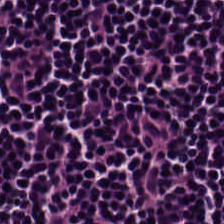Q: What type of tissue is this?
A: Lymphoid infiltrate.
